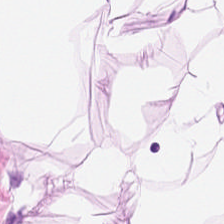Hematoxylin and eosin.
The tissue is adipocytes.
